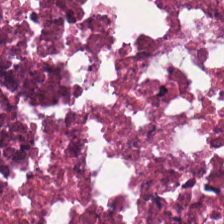0.5 µm per pixel · hematoxylin and eosin — Histology → necrotic debris.
